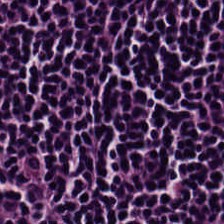Hematoxylin-and-eosin stained section — Showing lymphocyte aggregate.
